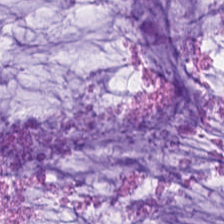Stain: H&E.
Acquisition: brightfield.
Preparation: formalin-fixed paraffin-embedded section.
Predominant tissue: mucin.
